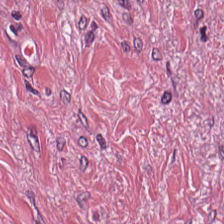Classification — tumor stroma.
